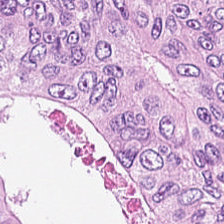0.5 microns per pixel. H&E-stained tissue section. {"tissue_type": "adenocarcinoma"}
